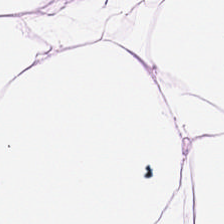H&E — Q: What tissue is shown?
A: Adipose.
